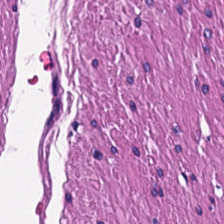H&E stain. Q: What tissue is shown?
A: Smooth-muscle tissue.
